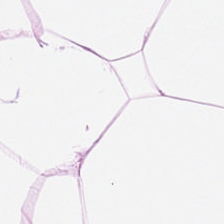Hematoxylin and eosin.
This patch shows fat tissue.
